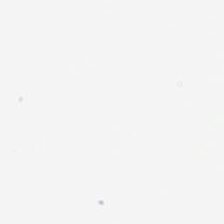H&E stain · 0.5 µm/px.
{"content": "no tissue"}
